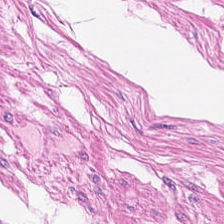Showing smooth-muscle tissue.
